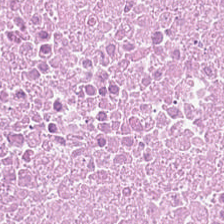FFPE tissue section · H&E-stained tissue section · 224×224 px patch — Histology → cellular debris.
